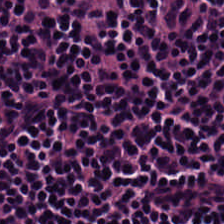H&E stain. FFPE. {"tissue_type": "lymphocytes"}
